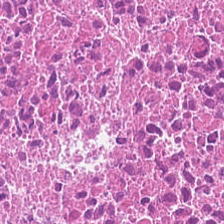H&E-stained tissue section.
Q: What is shown in this field?
A: Cellular debris.
